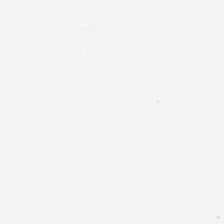{"content": "empty background"}
